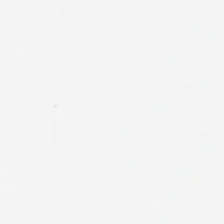Q: Classify this patch.
A: This is no tissue.
